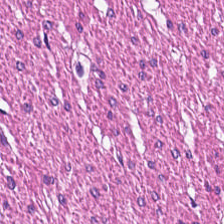H&E patch showing smooth muscle.
